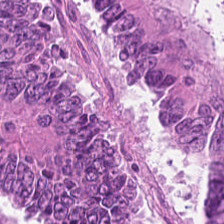Hematoxylin and eosin. Predominantly colorectal adenocarcinoma epithelium.
